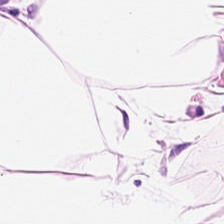H&E. Impression → fat tissue.
